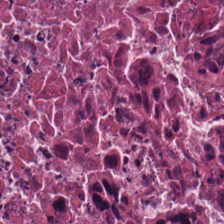Stain: H&E-stained tissue section.
Tile size: 224×224 px patch.
Classification: necrotic debris.
